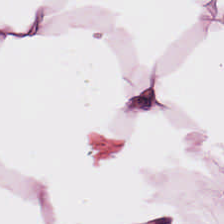FFPE tissue section · H&E — Predominantly adipose.
